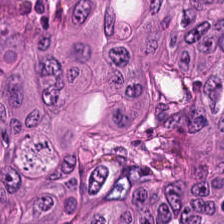H&E-stained tissue section. Q: Classify this patch.
A: This is tumor epithelium.
